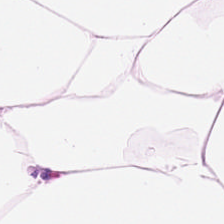224×224 pixel tile. Hematoxylin and eosin. Adipose tissue.
